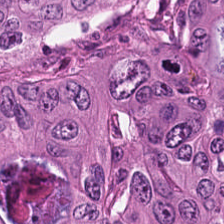Whole-slide-image patch. H&E-stained tissue section. The tissue here is colorectal adenocarcinoma epithelium.
